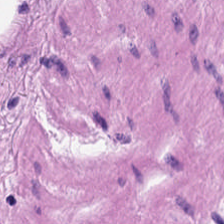H&E-stained tissue section · 0.5 microns per pixel — Q: What is shown in this field?
A: Smooth muscle.
